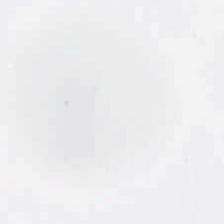H&E. This patch shows background (no tissue).
